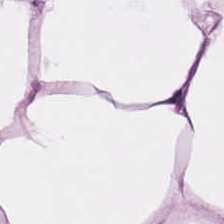224×224 px tile · H&E-stained tissue section.
Adipose tissue.
